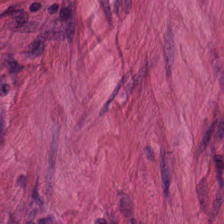Hematoxylin-and-eosin stained section.
Showing smooth-muscle tissue.
